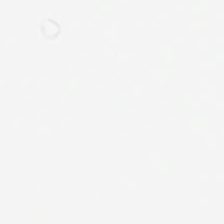Classification — background (no tissue).
